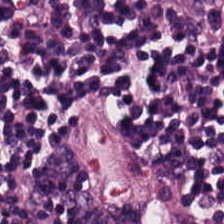20× equivalent magnification · WSI patch · hematoxylin-and-eosin stained section. This field is lymphocytes.
